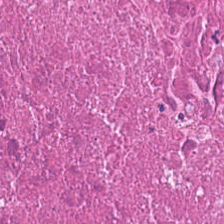Stain: H&E stain.
Acquisition: brightfield.
Tile size: 224×224 pixel tile.
Classification: debris.
